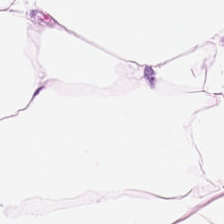Hematoxylin and eosin. Q: Classify this patch.
A: This is adipose.
